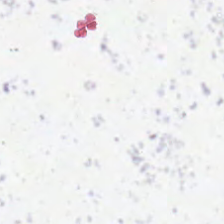224×224 px tile. Hematoxylin-and-eosin stained section.
Q: What is shown in this field?
A: This is empty background.
